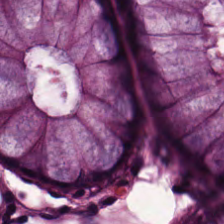H&E-stained tissue section — Predominant tissue: normal colonic mucosa.
